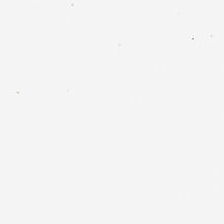0.5 µm per pixel; hematoxylin and eosin; brightfield. Classification = background.
